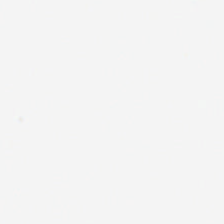Stain: H&E-stained tissue section.
Classification: background (no tissue).
